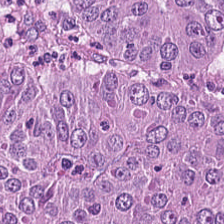H&E stain.
The tissue type is adenocarcinoma.
